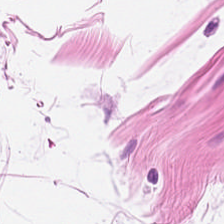H&E-stained tissue section showing adipocytes.
